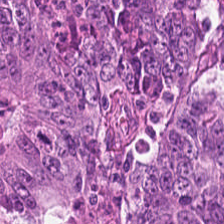Hematoxylin and eosin; WSI patch. The predominant tissue is adenocarcinoma.
